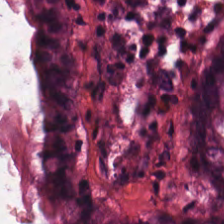H&E-stained tissue section — This patch shows non-neoplastic colon mucosa.
